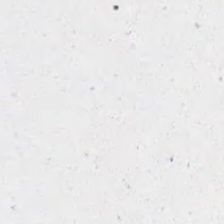Hematoxylin-and-eosin stained section. Classification = background.
